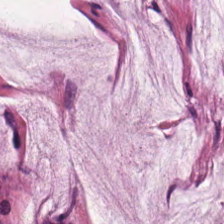Hematoxylin and eosin — Histology — mucin.
